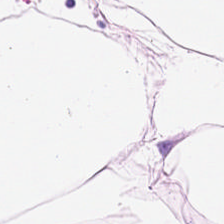H&E. Q: What tissue is shown?
A: Fat tissue.
